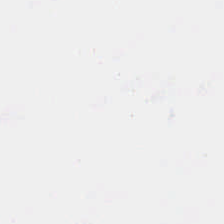20× equivalent magnification · hematoxylin-and-eosin stained section — Empty field — background (no tissue).
